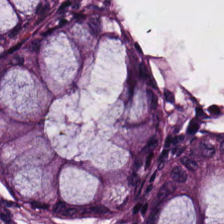Non-neoplastic colon mucosa.
